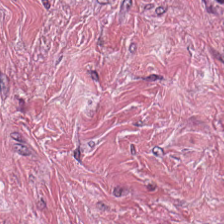224×224 pixel tile. FFPE tissue section. Hematoxylin and eosin.
Histology — desmoplastic stroma.
